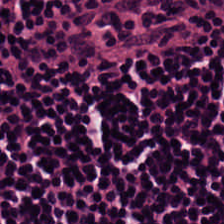H&E stain. Brightfield.
The tissue type is lymphocytic infiltrate.
